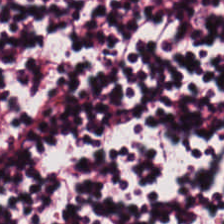The predominant tissue is lymphoid infiltrate.
